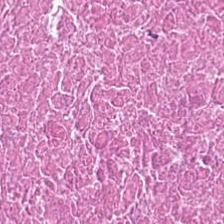Hematoxylin and eosin — Tissue = cellular debris.
